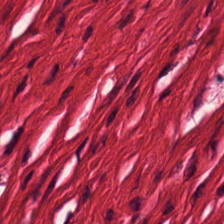Stain: H&E stain.
Tissue type: smooth muscle.
